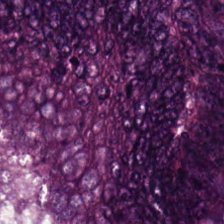Stain: H&E.
Tissue: adenocarcinoma.
